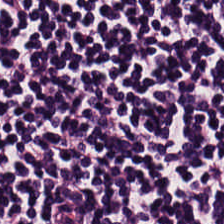Hematoxylin and eosin — Showing lymphocyte aggregate.
